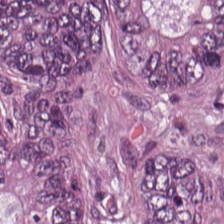Stain: H&E stain.
Classification: tumor epithelium.
